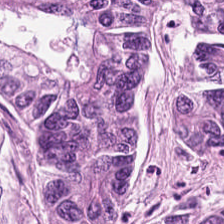Impression — adenocarcinoma.
